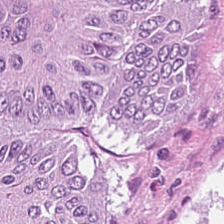Hematoxylin and eosin; 224×224 px tile.
Tissue = adenocarcinoma.
